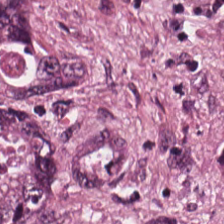Q: What is shown here?
A: It is tumor epithelium.
